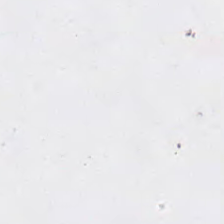Empty field — background (no tissue).
